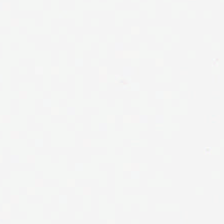Q: What does this patch show?
A: The field shows no tissue.
